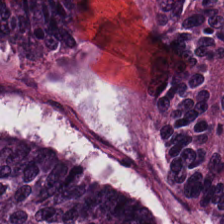H&E. Q: What type of tissue is this?
A: It is colorectal adenocarcinoma epithelium.
